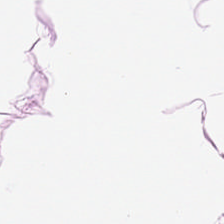WSI patch · hematoxylin and eosin. This field is fat tissue.
